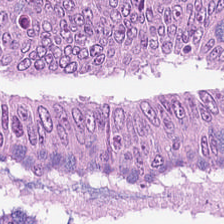Stain: H&E-stained tissue section.
Predominant tissue: adenocarcinoma.
